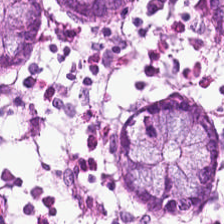This field is benign colonic mucosa.
